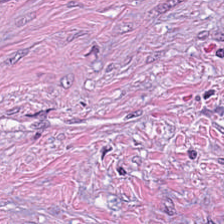Hematoxylin and eosin — The predominant tissue is cancer-associated stroma.
